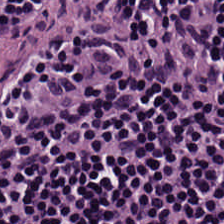224×224 pixel tile; H&E-stained tissue section. Q: What does this patch show?
A: Lymphocytes.
